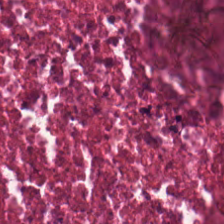{"tissue_type": "debris"}
